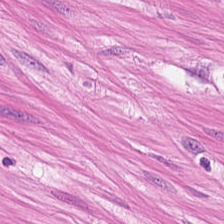Hematoxylin and eosin. The tissue class is smooth-muscle tissue.
